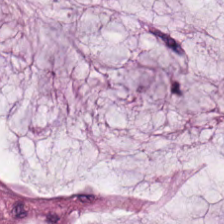FFPE · hematoxylin-and-eosin stained section — This field is mucus.
